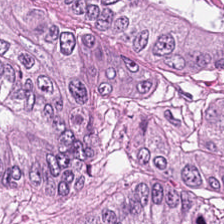Stain: H&E-stained tissue section.
Predominant tissue: colorectal adenocarcinoma epithelium.
